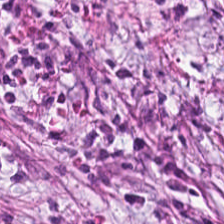Hematoxylin-and-eosin stained section — Q: What is shown here?
A: It is tumor stroma.
